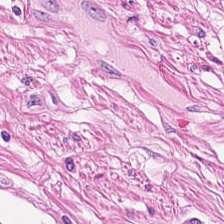Hematoxylin-and-eosin stained section — Finding — smooth-muscle tissue.
